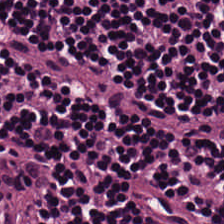224×224 px tile. Hematoxylin and eosin — Q: What is shown here?
A: The field shows lymphocyte aggregate.
